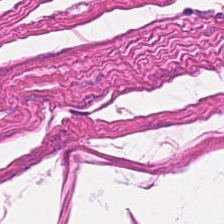Hematoxylin-and-eosin stained section. 0.5 µm per pixel — Finding → smooth-muscle tissue.
